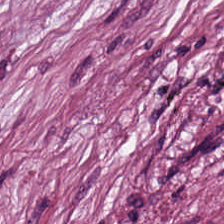224×224 px patch; H&E-stained tissue section — Histology — tumor-associated stroma.
